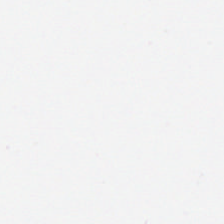224×224 px patch. Hematoxylin-and-eosin stained section — Background — no tissue in this field.
